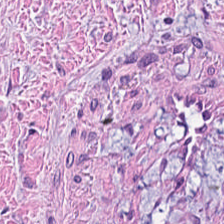Tissue type: cancer-associated stroma.
